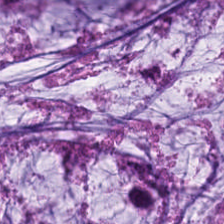Hematoxylin and eosin — Tissue type: extracellular mucin.
